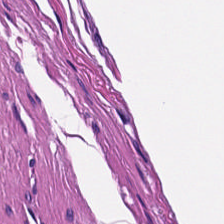Hematoxylin-and-eosin stained section; 224×224 px patch.
Smooth muscle.
